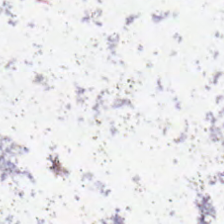Hematoxylin and eosin — Finding → empty background.
